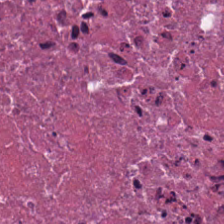Hematoxylin-and-eosin stained section.
Histology → cellular debris.
